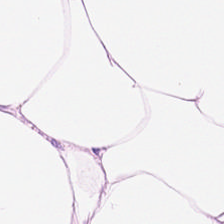Stain: hematoxylin-and-eosin stained section.
Resolution: 0.5 µm per pixel.
Tile size: 224×224 px tile.
Tissue type: adipose.
